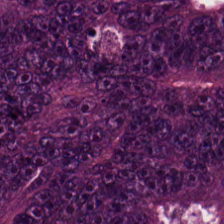H&E stain.
This field is malignant epithelium.
